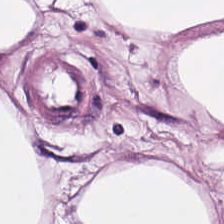H&E stain. FFPE.
Q: What type of tissue is this?
A: The field shows adipocytes.
